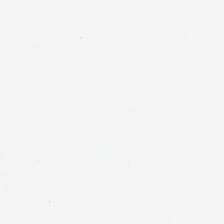224×224 px tile. H&E. Background (no tissue).
